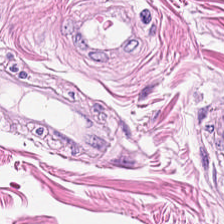Hematoxylin and eosin. 224×224 pixel tile. Smooth muscle.
